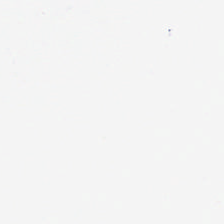0.5 µm per pixel. 224×224 pixel tile. Hematoxylin and eosin. Impression — no tissue.
